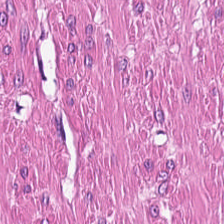Hematoxylin-and-eosin stained section — Predominantly muscularis.
